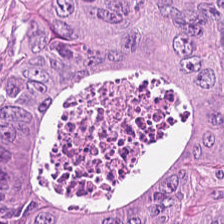H&E-stained tissue section. {"tissue_type": "colorectal adenocarcinoma"}
